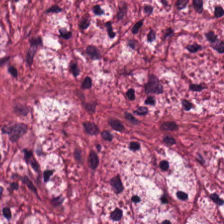0.5 µm per pixel. H&E stain.
The predominant tissue is tumor-associated stroma.
